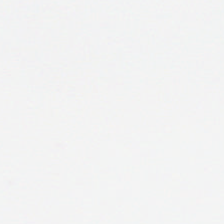H&E stain; FFPE.
Background — no tissue in this field.
